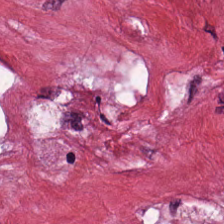WSI patch. H&E.
Finding → cancer-associated stroma.
